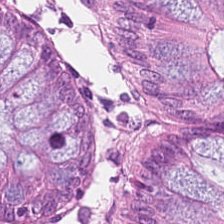Hematoxylin and eosin. Predominant tissue = normal colon mucosa.
